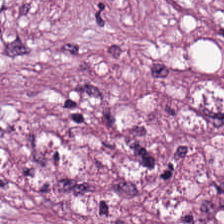Histology — tumor-associated stroma.
